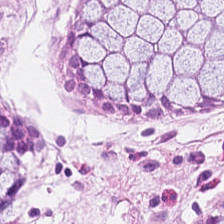H&E. The tissue here is non-neoplastic colon mucosa.
